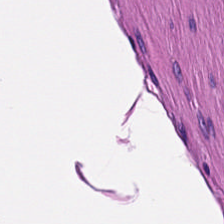Hematoxylin-and-eosin stained section. The tissue here is smooth muscle.
